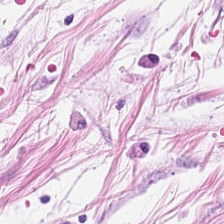224×224 px tile; 0.5 µm per pixel; hematoxylin-and-eosin stained section.
Showing fat tissue.
